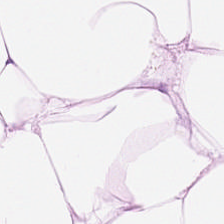224×224 px tile · H&E stain — Q: Identify the tissue.
A: It is adipose.
